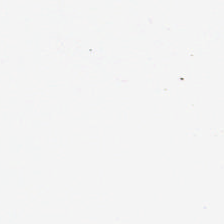Stain: hematoxylin and eosin.
Resolution: 0.5 µm per pixel.
Preparation: FFPE.
Content: background (no tissue).
